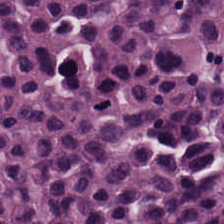Formalin-fixed paraffin-embedded section. Hematoxylin-and-eosin stained section.
Showing lymphocyte aggregate.
